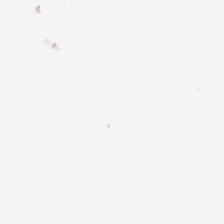The field content is empty background.
